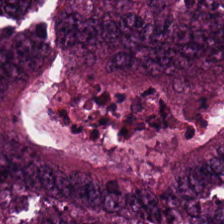Hematoxylin and eosin — Finding — tumor epithelium.
